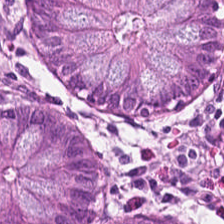0.5 µm per pixel. H&E stain. Tissue class: non-neoplastic colon mucosa.
